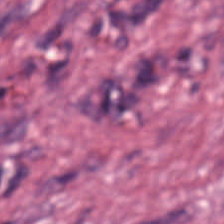H&E.
{"tissue_type": "cancer-associated stroma"}
